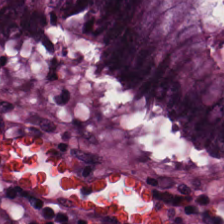H&E-stained tissue section — Showing benign colonic mucosa.
